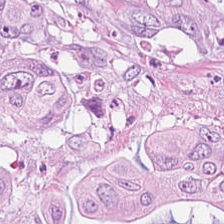Q: Identify the tissue.
A: It is colorectal adenocarcinoma.
